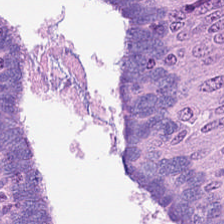Hematoxylin-and-eosin stained section. This patch shows colorectal adenocarcinoma.
